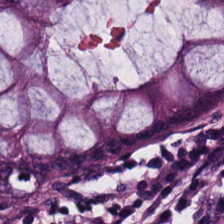Hematoxylin-and-eosin stained section.
Impression → benign colonic mucosa.
